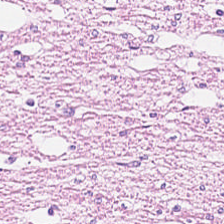Tissue type = muscularis.
